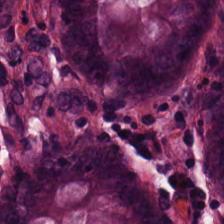Predominantly non-neoplastic colon mucosa.
